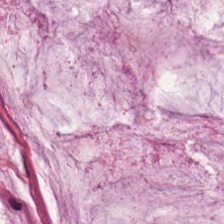Hematoxylin-and-eosin stained section.
Q: What is the predominant tissue type?
A: This is extracellular mucin.
